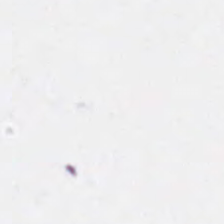Hematoxylin-and-eosin stained section. Brightfield microscopy.
{"content": "no tissue"}
